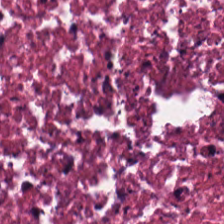224×224 px tile; H&E; brightfield microscopy — Q: What is the predominant tissue type?
A: It is necrotic debris.
